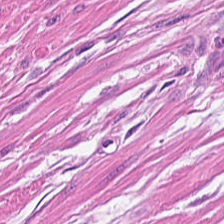H&E. This field is smooth muscle.
